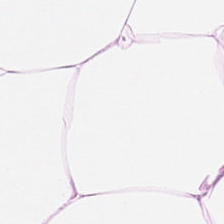H&E · 0.5 µm/px.
{"tissue_type": "adipose tissue"}
